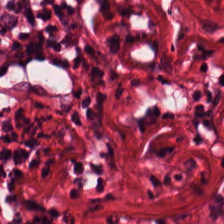This patch shows tumor stroma.
